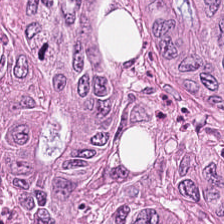Q: What does this patch show?
A: It is colorectal adenocarcinoma.
